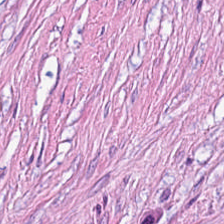H&E-stained tissue section.
Q: What tissue is shown?
A: Desmoplastic stroma.
